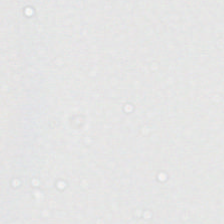Hematoxylin and eosin. Content: no tissue.
